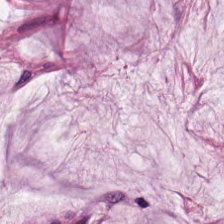H&E; whole-slide-image patch — The tissue type is mucus.
